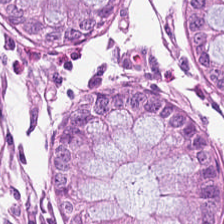Stain: hematoxylin-and-eosin stained section.
Tile size: 224×224 px tile.
Classification: benign colonic mucosa.
